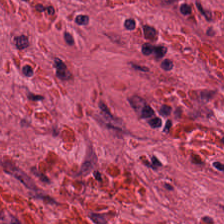H&E — Q: What type of tissue is this?
A: The field shows cancer-associated stroma.
